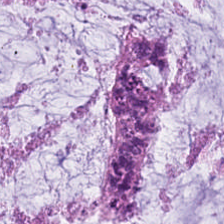Hematoxylin-and-eosin stained section. 0.5 microns per pixel — The tissue here is mucus.
